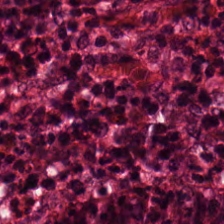H&E stain — Q: What does this patch show?
A: This is normal colon mucosa.
